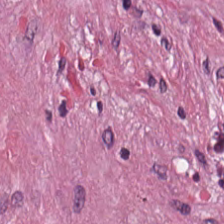{"tissue_type": "desmoplastic stroma"}
